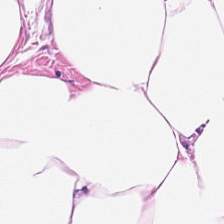H&E; 0.5 microns per pixel.
Q: What tissue is shown?
A: This is adipocytes.
